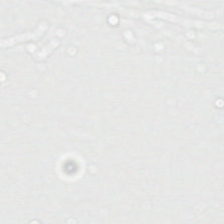Background.
